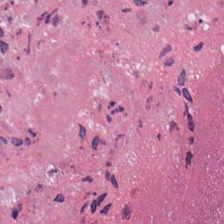Stain: H&E.
Classification: necrotic debris.
